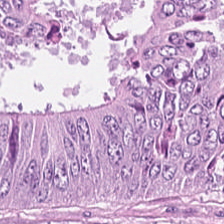H&E-stained tissue section — Tumor epithelium.
